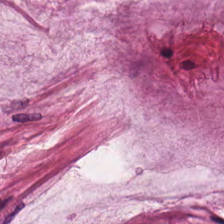WSI patch · hematoxylin and eosin · 0.5 µm per pixel — Impression → mucus.
